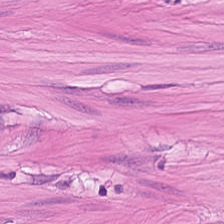Brightfield · hematoxylin-and-eosin stained section.
Impression — muscularis.
